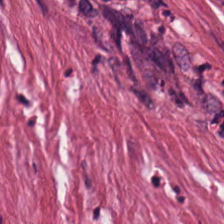Brightfield microscopy · hematoxylin and eosin · 0.5 µm/px — Predominant tissue = tumor stroma.
